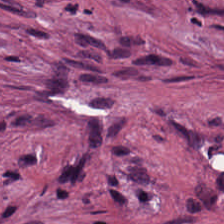H&E.
The tissue here is tumor stroma.
